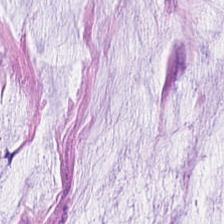0.5 microns per pixel. Hematoxylin-and-eosin stained section. 224×224 px tile. This patch shows extracellular mucin.
